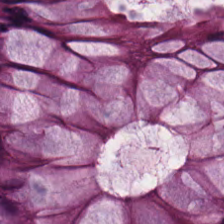H&E-stained tissue section. Predominant tissue: normal colon mucosa.
